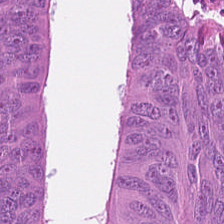Impression — tumor epithelium.
